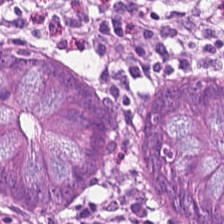H&E-stained tissue section · 0.5 µm/px · 224×224 px tile — This field is normal colon mucosa.
